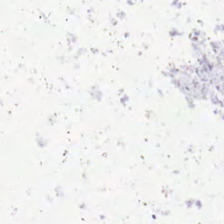0.5 microns per pixel. Hematoxylin-and-eosin stained section. FFPE tissue section — This patch shows empty background.
